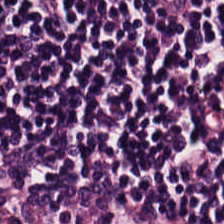The tissue type is lymphoid infiltrate.
